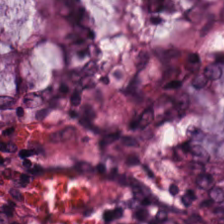Classification — normal colon mucosa.
